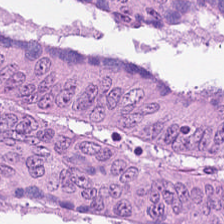H&E-stained tissue section — Classification = colorectal adenocarcinoma epithelium.
